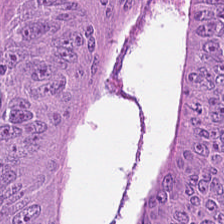Hematoxylin-and-eosin stained section — The tissue here is malignant epithelium.
